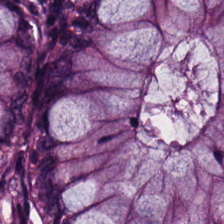Q: What is shown here?
A: It is normal colon mucosa.
